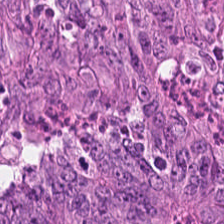FFPE; H&E-stained tissue section — The predominant tissue is colorectal adenocarcinoma.
